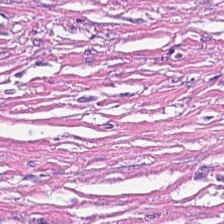Stain: H&E stain.
Acquisition: brightfield microscopy.
Classification: desmoplastic stroma.
